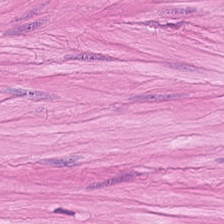Q: What type of tissue is this?
A: Muscularis.
